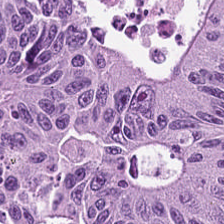Classification: malignant epithelium.
